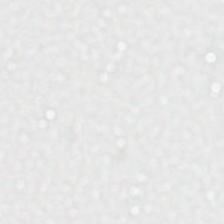224×224 px tile · H&E-stained tissue section.
{"content": "empty background"}
